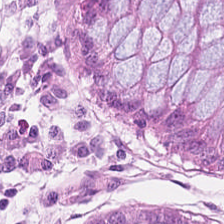H&E-stained tissue section. Finding — non-neoplastic colon mucosa.
